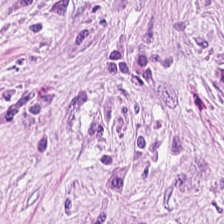Histology → cancer-associated stroma.
